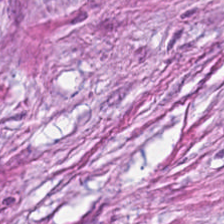Stain: hematoxylin-and-eosin stained section.
Acquisition: whole-slide-image patch.
Tissue: tumor stroma.
